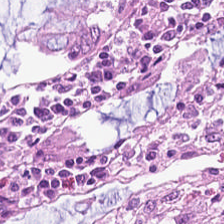This patch shows non-neoplastic colon mucosa.
